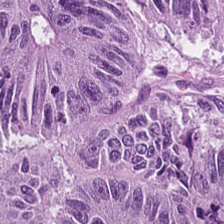Stain: hematoxylin and eosin.
Tile size: 224×224 pixel tile.
Tissue: tumor epithelium.
